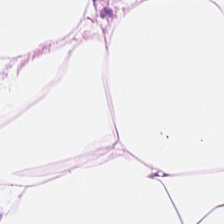H&E-stained tissue section — Tissue: adipocytes.
